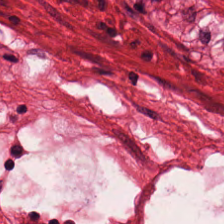Hematoxylin and eosin.
Predominant tissue: smooth muscle.
